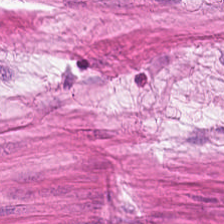H&E stain. Finding → smooth muscle.
